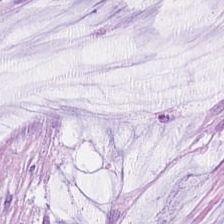Brightfield microscopy; 0.5 microns per pixel; H&E stain. The tissue here is mucin.
